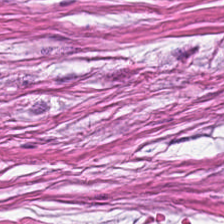Impression — tumor stroma.
